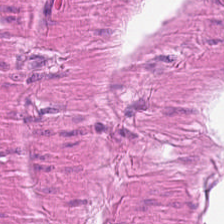Stain: hematoxylin and eosin.
Acquisition: brightfield microscopy.
Classification: smooth-muscle tissue.
